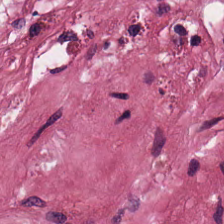Formalin-fixed paraffin-embedded section · whole-slide-image patch · H&E. {"tissue_type": "desmoplastic stroma"}
